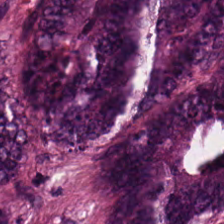Hematoxylin and eosin; 0.5 µm/px. Colorectal adenocarcinoma epithelium.
